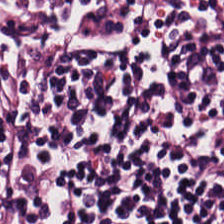H&E-stained tissue section.
The predominant tissue is lymphoid infiltrate.
